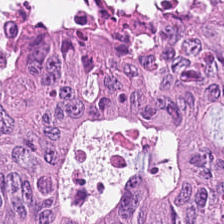Hematoxylin-and-eosin stained section. WSI patch — The predominant tissue is malignant epithelium.
